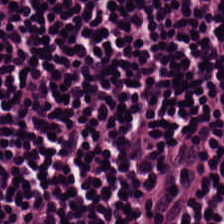Hematoxylin-and-eosin stained section. 224×224 pixel tile — Q: Identify the tissue.
A: Lymphocytes.
